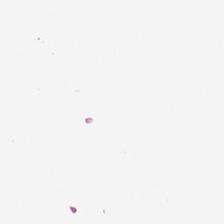Q: What does this patch show?
A: No tissue.
